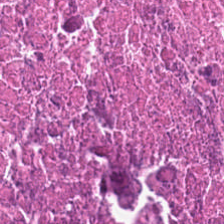Formalin-fixed paraffin-embedded section · hematoxylin-and-eosin stained section. Tissue — debris.
